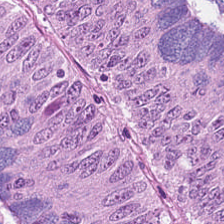Hematoxylin-and-eosin stained section — The tissue class is adenocarcinoma.
